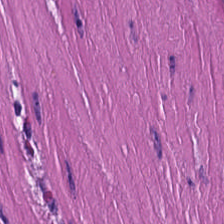H&E — smooth-muscle tissue.
